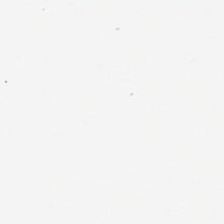H&E — This patch shows background (no tissue).
